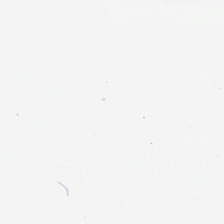Stain: hematoxylin-and-eosin stained section.
Content: empty background.
